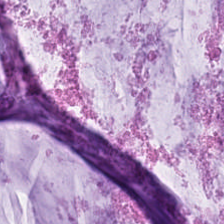H&E-stained tissue section — Histology — mucus.
